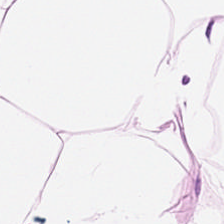Hematoxylin-and-eosin stained section.
Q: What does this patch show?
A: This is adipose.
